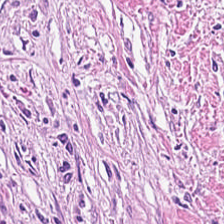Tissue = tumor-associated stroma.
